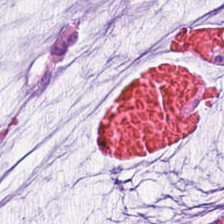224×224 px tile; hematoxylin and eosin — The predominant tissue is extracellular mucin.
